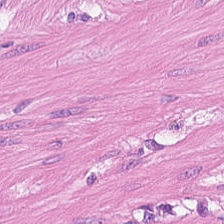Histology → smooth muscle.
